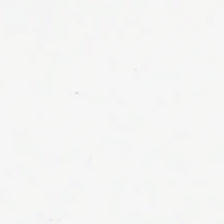Impression — no tissue.
